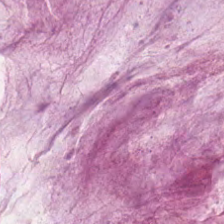Hematoxylin-and-eosin stained section — This patch shows extracellular mucin.
